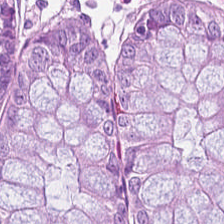Q: What is shown in this field?
A: It is normal colon mucosa.
